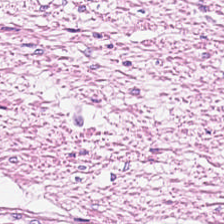H&E. WSI patch. Q: What type of tissue is this?
A: The field shows smooth muscle.
